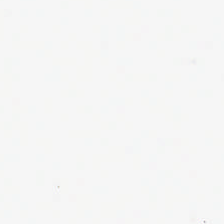0.5 microns per pixel. Hematoxylin-and-eosin stained section — Content = empty background.
